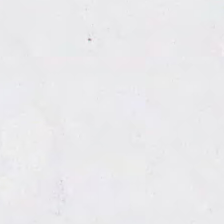H&E stain. 224×224 px tile. Brightfield. The classification is background (no tissue).
